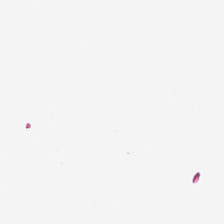0.5 microns per pixel. H&E-stained tissue section — No tissue present; background only.
